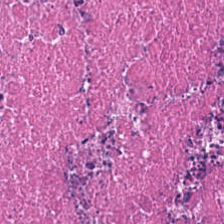Tissue type: debris.
